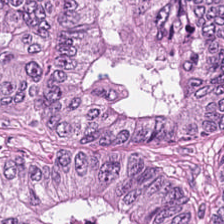Hematoxylin and eosin. The tissue here is tumor epithelium.
